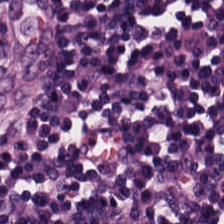Hematoxylin-and-eosin stained section — Finding → lymphoid infiltrate.
